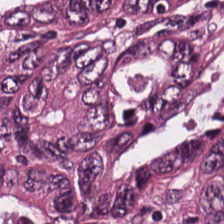Classification: colorectal adenocarcinoma.
